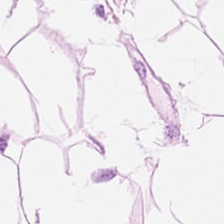H&E-stained tissue section. This patch shows adipose.
